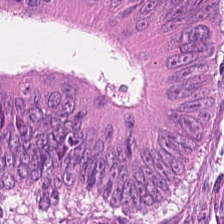Whole-slide-image patch. Hematoxylin and eosin — Histology — tumor epithelium.
